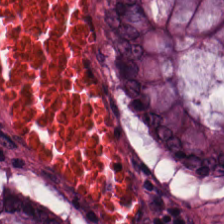Brightfield. H&E. Tissue class = normal colonic mucosa.
